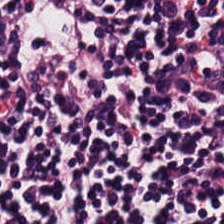H&E stain — The tissue here is lymphocyte aggregate.
